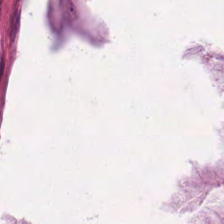Hematoxylin and eosin.
Showing mucin.
